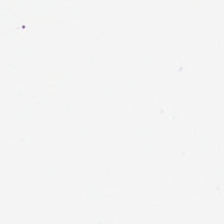The content is background (no tissue).
